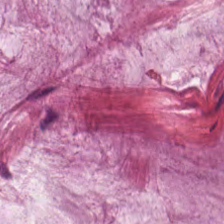Hematoxylin and eosin — Showing extracellular mucin.
